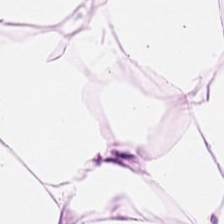H&E stain. Classification = adipose tissue.
